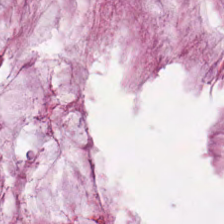Classification: extracellular mucin.
